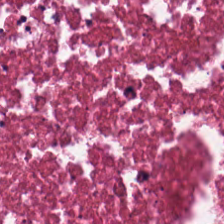Stain: H&E-stained tissue section.
Preparation: formalin-fixed paraffin-embedded section.
Tissue class: necrotic debris.
